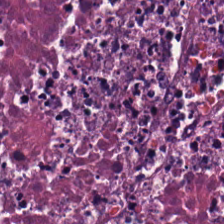Classification = necrotic debris.
